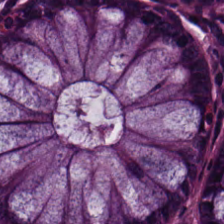Whole-slide-image patch. H&E-stained tissue section. Predominant tissue = non-neoplastic colon mucosa.
